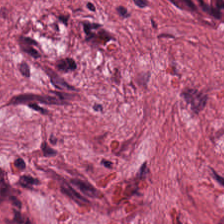Histology — tumor-associated stroma.
